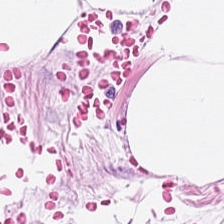Adipose.
